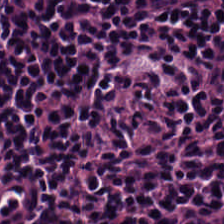H&E-stained tissue section.
This patch shows lymphoid infiltrate.
